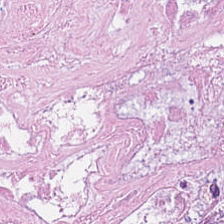The predominant tissue is necrotic debris.
